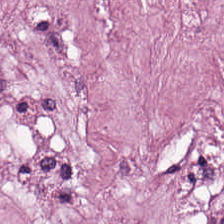Hematoxylin-and-eosin stained section; FFPE tissue section — Tissue — cancer-associated stroma.
